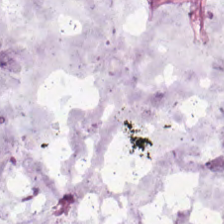Hematoxylin and eosin; 20× equivalent magnification. Predominantly extracellular mucin.
